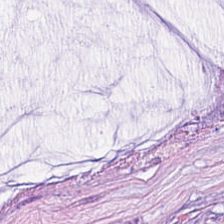H&E.
Predominantly extracellular mucin.
